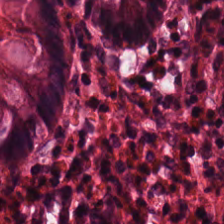Q: What tissue is shown?
A: Benign colonic mucosa.
